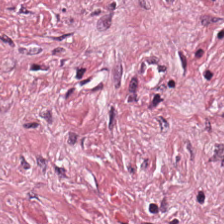H&E stain; 224×224 px tile; FFPE tissue section. {"tissue_type": "tumor-associated stroma"}
